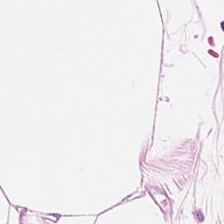Classification — adipocytes.
